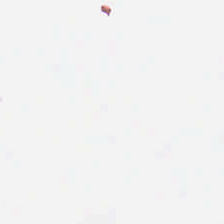H&E-stained tissue section · WSI patch. Classification — background.
